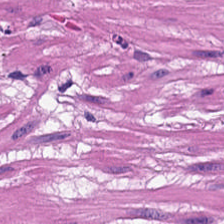Hematoxylin-and-eosin stained section; whole-slide-image patch — The tissue here is muscularis.
